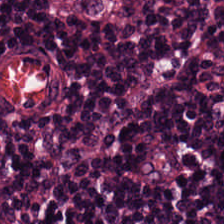224×224 px patch; H&E-stained tissue section; brightfield microscopy. This field is lymphocytic infiltrate.
